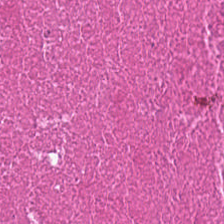H&E-stained tissue section — Impression → debris.
